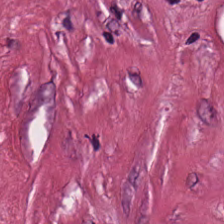Tissue: tumor stroma.
